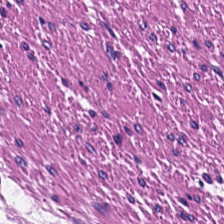H&E-stained tissue section · 0.5 microns per pixel — Showing smooth-muscle tissue.
